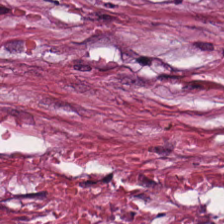H&E-stained tissue section.
Classification = cancer-associated stroma.
